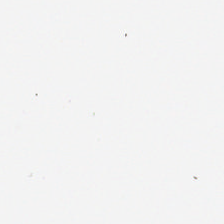Hematoxylin-and-eosin stained section · 0.5 µm/px · whole-slide-image patch. This field is background (no tissue).
